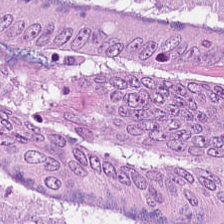Hematoxylin-and-eosin stained section — The tissue here is adenocarcinoma.
